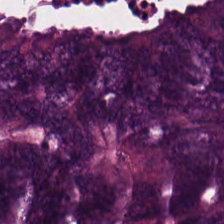H&E stain · FFPE · 0.5 µm/px.
Tumor epithelium.
